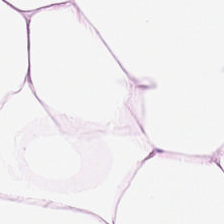Histology — fat tissue.
